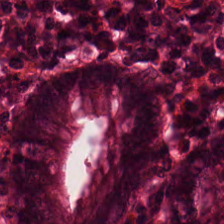H&E.
Q: What is shown here?
A: It is non-neoplastic colon mucosa.
